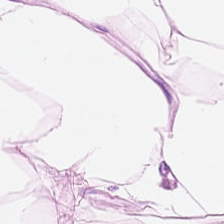H&E stain; WSI patch.
Predominant tissue — adipocytes.
